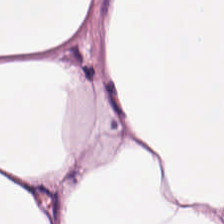224×224 px patch · hematoxylin and eosin. Tissue class — adipose tissue.
